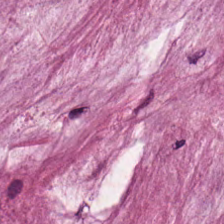0.5 µm/px · H&E stain. {"tissue_type": "mucus"}
